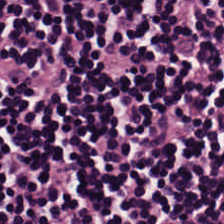The predominant tissue is lymphocyte aggregate.
